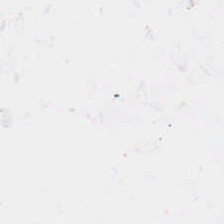FFPE; hematoxylin and eosin.
No tissue present; background only.
